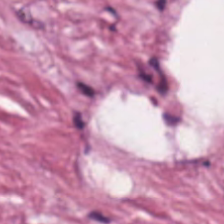H&E stain. Predominantly tumor-associated stroma.
